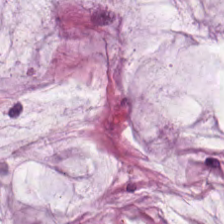0.5 µm/px. H&E stain. Classification = extracellular mucin.
